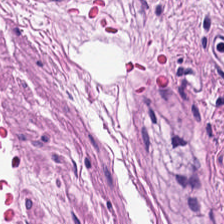FFPE tissue section · hematoxylin-and-eosin stained section — Q: What type of tissue is this?
A: This is muscularis.
